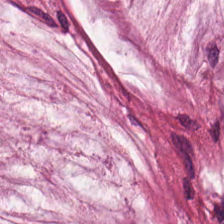Q: Identify the tissue.
A: This is mucus.
